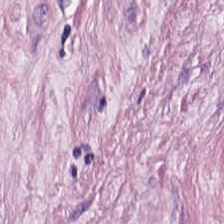This field is cancer-associated stroma.
